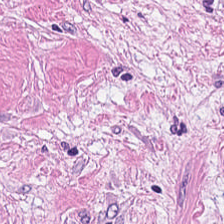Stain: H&E stain.
Tissue class: desmoplastic stroma.
